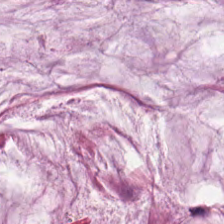H&E-stained tissue section. Q: What tissue is shown?
A: It is mucin.
